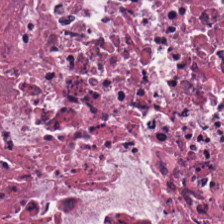Hematoxylin-and-eosin stained section. Q: What is the predominant tissue type?
A: The field shows cellular debris.
